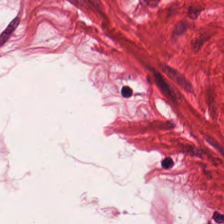224×224 px patch. FFPE. H&E. Smooth muscle.
